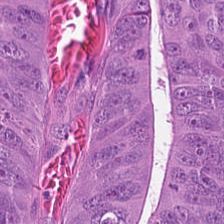20× equivalent magnification · hematoxylin and eosin. Tissue = colorectal adenocarcinoma epithelium.
